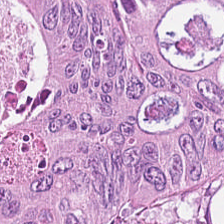Hematoxylin and eosin.
The tissue here is colorectal adenocarcinoma.
